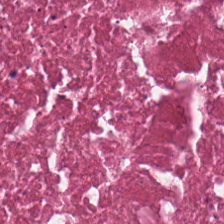224×224 px tile · hematoxylin-and-eosin stained section — The predominant tissue is debris.
